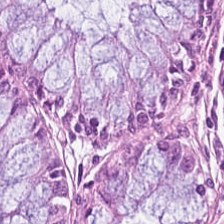224×224 px patch; H&E — Q: What tissue type is shown here?
A: Normal colon mucosa.
